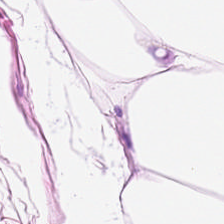Formalin-fixed paraffin-embedded section · hematoxylin-and-eosin stained section · brightfield microscopy — This field is adipocytes.
